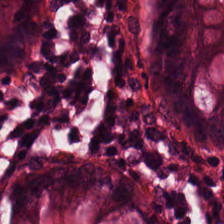H&E stain — Tissue class = benign colonic mucosa.
